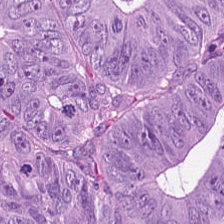Hematoxylin-and-eosin stained section. This patch shows colorectal adenocarcinoma epithelium.
